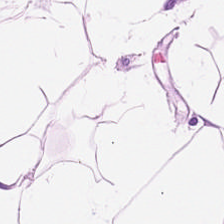Formalin-fixed paraffin-embedded section; H&E; 224×224 px tile.
Histology → adipose.
